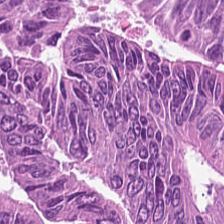H&E-stained tissue section. Predominantly colorectal adenocarcinoma.
